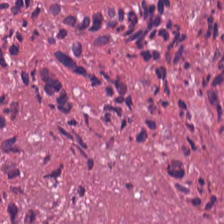Hematoxylin-and-eosin stained section; 224×224 px patch. Q: Classify this patch.
A: This is debris.
